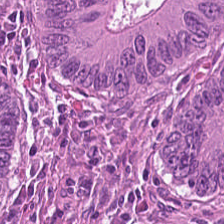H&E stain · 0.5 µm/px. This patch shows adenocarcinoma.
